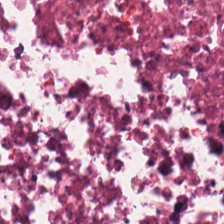Hematoxylin and eosin · 224×224 px tile — Showing cellular debris.
